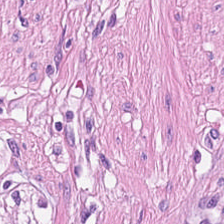Stain: hematoxylin and eosin.
Tissue type: smooth-muscle tissue.
